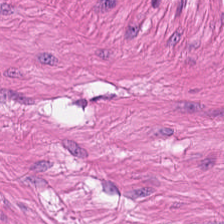Hematoxylin-and-eosin section: smooth muscle.
